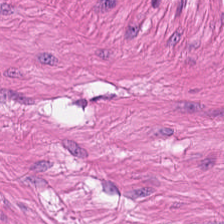Hematoxylin-and-eosin section: smooth muscle.
